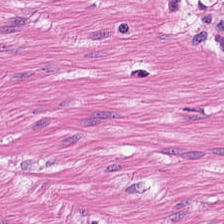Stain: H&E-stained tissue section.
Predominant tissue: smooth-muscle tissue.
